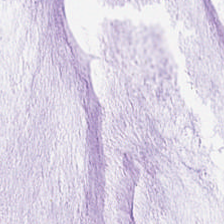Finding — mucin.
